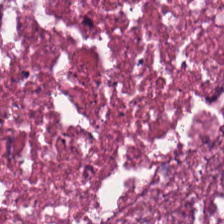H&E stain. 224×224 px tile. Brightfield microscopy. Predominant tissue — cellular debris.
